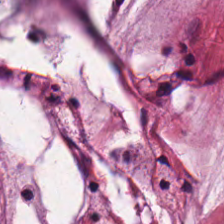224×224 px patch · 0.5 µm/px · hematoxylin-and-eosin stained section — The predominant tissue is mucin.
